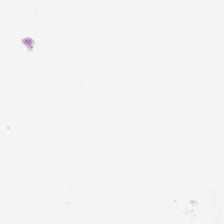Content — background.
